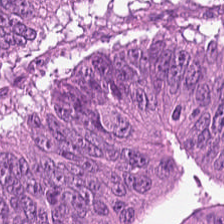0.5 µm/px · H&E-stained tissue section.
{"tissue_type": "malignant epithelium"}
